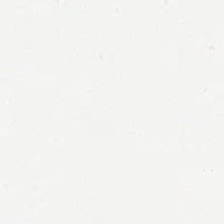Q: What is shown here?
A: The field shows background.
